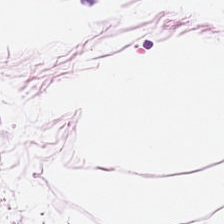Hematoxylin-and-eosin stained section — Histology → adipose tissue.
